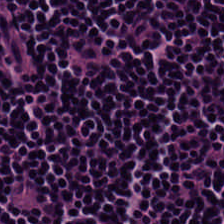H&E-stained tissue section — The tissue here is lymphoid infiltrate.
